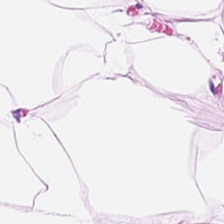Predominant tissue = fat tissue.
